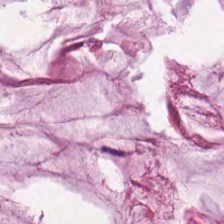Stain: H&E.
Acquisition: WSI patch.
Resolution: 20× equivalent magnification.
Predominant tissue: mucin.
